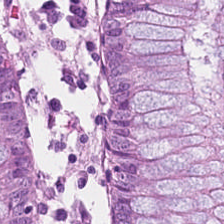H&E-stained tissue section. 224×224 pixel tile. FFPE. Histology → non-neoplastic colon mucosa.
